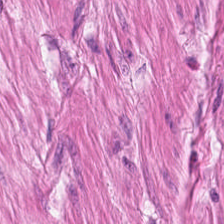H&E stain.
Tissue type: muscularis.
